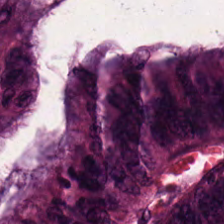H&E-stained tissue section.
Tissue class — malignant epithelium.
